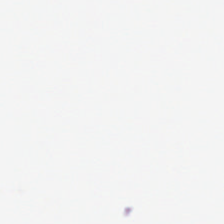H&E-stained tissue section · FFPE. Q: Classify this patch.
A: The field shows background (no tissue).
